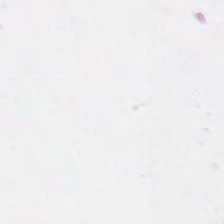H&E. Histology — background.
